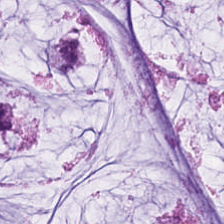Hematoxylin and eosin — Tissue class: mucin.
